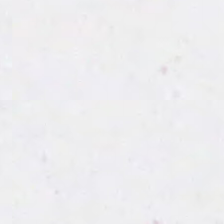Hematoxylin and eosin · 224×224 pixel tile.
Empty field — background.
